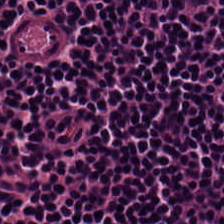H&E.
Tissue = lymphoid infiltrate.
